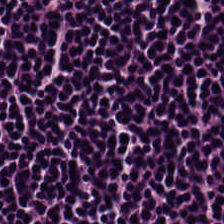H&E-stained tissue section · 20× equivalent magnification. Q: What tissue is shown?
A: The field shows lymphocyte aggregate.
